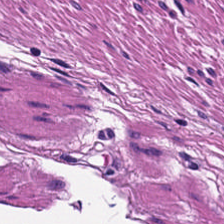Formalin-fixed paraffin-embedded section. Hematoxylin-and-eosin stained section.
Q: What type of tissue is this?
A: It is smooth muscle.
